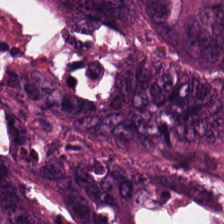Stain: hematoxylin-and-eosin stained section.
Classification: malignant epithelium.
